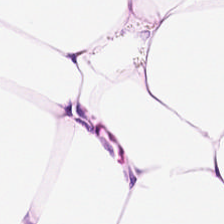Stain: H&E-stained tissue section.
Preparation: formalin-fixed paraffin-embedded section.
Tile size: 224×224 px tile.
Tissue class: fat tissue.
